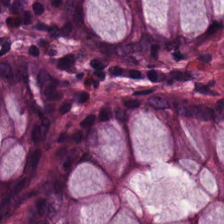H&E-stained tissue section — Predominant tissue — normal colon mucosa.
